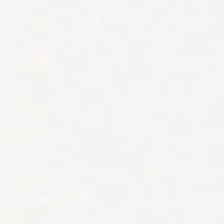Stain: hematoxylin and eosin.
Field content: empty background.
